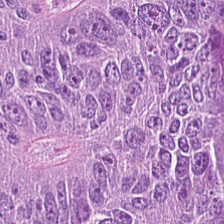This patch shows tumor epithelium.
